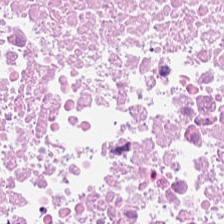0.5 microns per pixel; hematoxylin-and-eosin stained section; WSI patch.
Tissue class — cellular debris.
